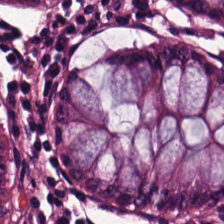Normal colonic mucosa.
